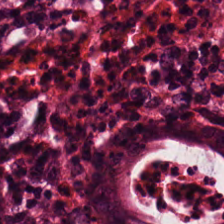Normal colon mucosa.
